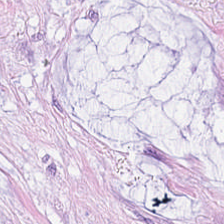20× equivalent magnification; formalin-fixed paraffin-embedded section; H&E stain — Finding — mucin.
